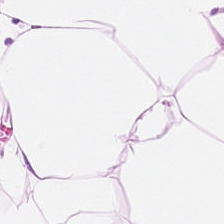20× equivalent magnification. Hematoxylin and eosin.
Showing adipose tissue.
